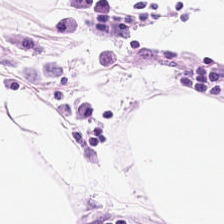H&E; brightfield microscopy; 0.5 microns per pixel.
Adipose tissue.
